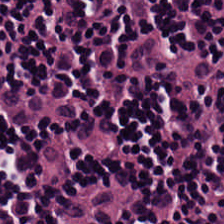H&E stain — Q: What is the predominant tissue type?
A: It is lymphoid infiltrate.
